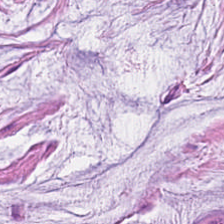Hematoxylin-and-eosin stained section — Q: Identify the tissue.
A: It is extracellular mucin.
